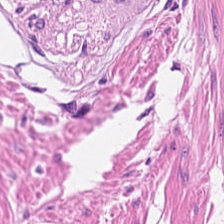Hematoxylin-and-eosin stained section · brightfield · 0.5 microns per pixel.
Q: Classify this patch.
A: The field shows muscularis.
